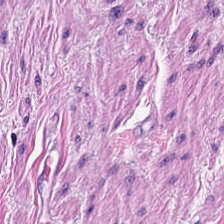Brightfield; hematoxylin and eosin.
Tissue type = smooth-muscle tissue.
